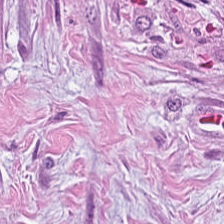H&E stain — Tissue type — desmoplastic stroma.
